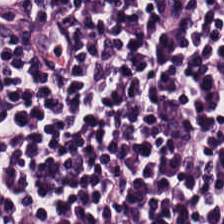Lymphocytes.
